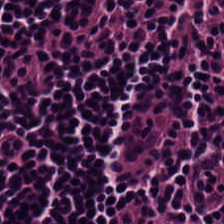H&E stain. Whole-slide-image patch.
Tissue: lymphoid infiltrate.
